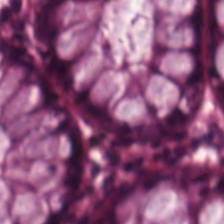FFPE · H&E stain · 224×224 pixel tile — Q: What does this patch show?
A: It is benign colonic mucosa.
